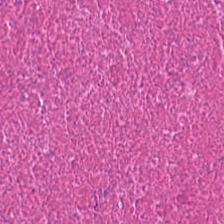224×224 pixel tile; hematoxylin-and-eosin stained section. {"tissue_type": "cellular debris"}
